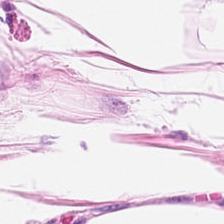H&E-stained section; the field shows fat tissue.
